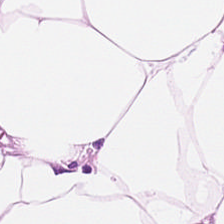224×224 px tile. H&E-stained tissue section — Predominantly adipose.
